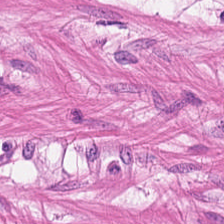Stain: H&E.
Tissue type: smooth muscle.
